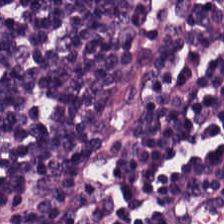H&E stain; brightfield. Tissue type = lymphocytic infiltrate.
